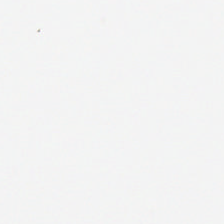{"content": "no tissue"}
